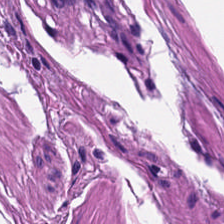224×224 px patch; hematoxylin and eosin. Predominantly smooth muscle.
